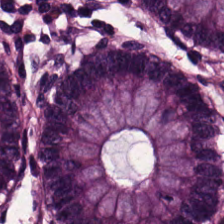Formalin-fixed paraffin-embedded section; H&E stain. Tissue: normal colonic mucosa.
